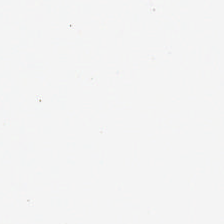Background.
